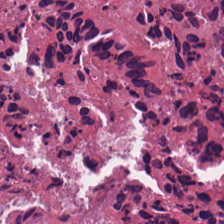Predominantly debris.
